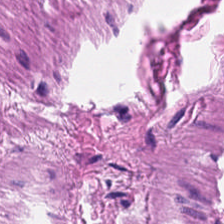Formalin-fixed paraffin-embedded section. H&E.
Predominant tissue: muscularis.
